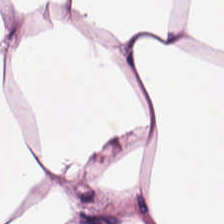H&E · 20× equivalent magnification · FFPE — Tissue class — adipocytes.
